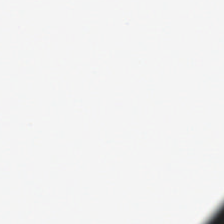H&E.
Classification — no tissue.
